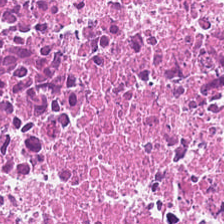Hematoxylin-and-eosin stained section.
Predominant tissue = debris.
